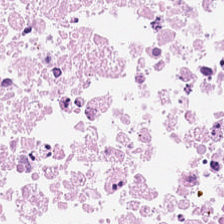H&E-stained tissue section.
Cellular debris.
